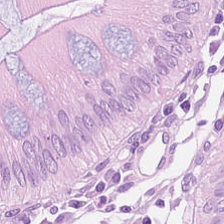Stain: H&E-stained tissue section.
Resolution: 0.5 µm per pixel.
Tissue class: benign colonic mucosa.
